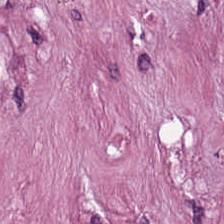H&E. Tissue = cancer-associated stroma.
